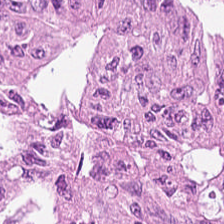0.5 microns per pixel · H&E stain.
Q: Identify the tissue.
A: The field shows colorectal adenocarcinoma epithelium.
